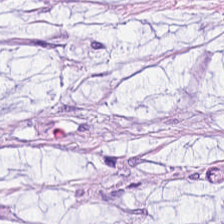Hematoxylin and eosin — Q: What does this patch show?
A: This is mucus.
